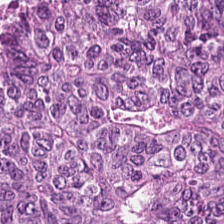The tissue here is adenocarcinoma.
